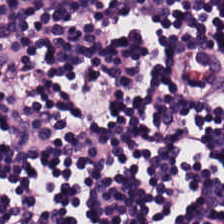Stain: H&E stain.
Tile size: 224×224 px tile.
Tissue type: lymphocytic infiltrate.
